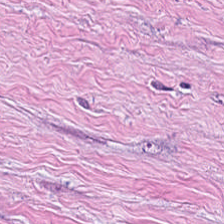0.5 µm per pixel. FFPE. H&E.
Q: What type of tissue is this?
A: The field shows tumor stroma.
